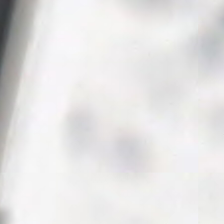H&E · 224×224 px tile. This patch shows no tissue.
